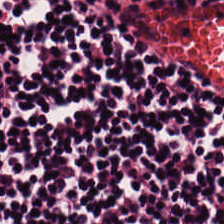This patch shows lymphocytes.
